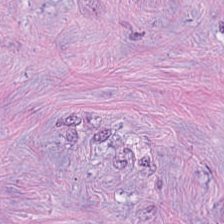Whole-slide-image patch. H&E. 224×224 px patch — Q: What tissue type is shown here?
A: The field shows tumor stroma.
